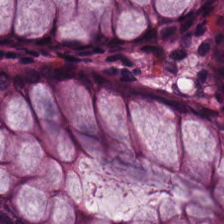0.5 µm/px; 224×224 px tile; hematoxylin-and-eosin stained section.
Finding — normal colon mucosa.
